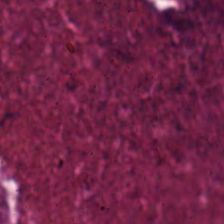H&E-stained tissue section · 0.5 microns per pixel.
Cellular debris.
